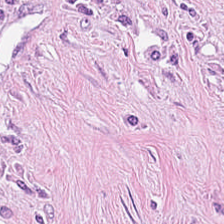FFPE · H&E stain. Histology → tumor-associated stroma.
